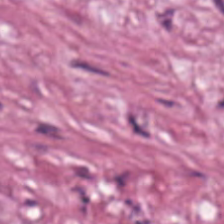224×224 pixel tile. Brightfield microscopy. H&E-stained tissue section. {"tissue_type": "tumor-associated stroma"}
